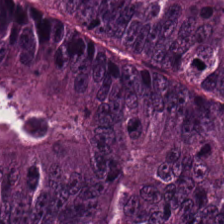This field is adenocarcinoma.
